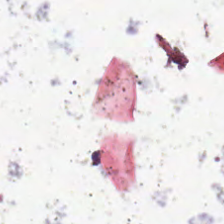H&E. 224×224 px patch. Q: What is shown here?
A: The field shows background.
